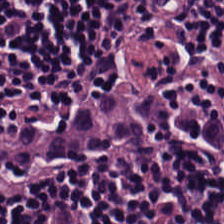Stain: H&E-stained tissue section.
Tissue type: lymphocytes.
